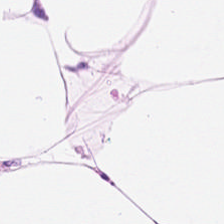Hematoxylin-and-eosin stained section. {"tissue_type": "adipocytes"}
